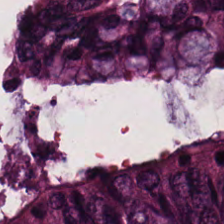20× equivalent magnification. H&E. Brightfield microscopy.
Predominantly colorectal adenocarcinoma.
